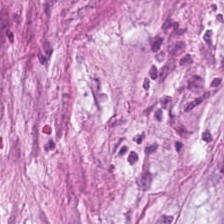H&E-stained tissue section — Tissue class — desmoplastic stroma.
